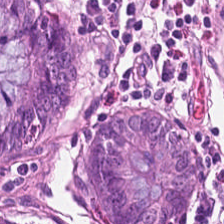H&E stain. Whole-slide-image patch.
Histology — normal colonic mucosa.
